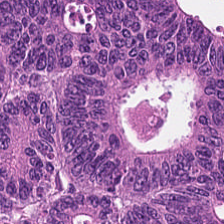Brightfield microscopy; hematoxylin and eosin.
Showing colorectal adenocarcinoma.
